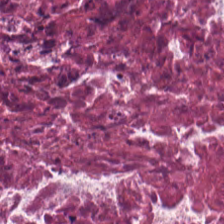Histology — debris.
